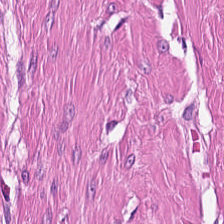Impression → smooth-muscle tissue.
